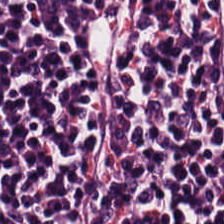H&E-stained tissue section; 224×224 pixel tile.
Tissue — lymphocyte aggregate.
